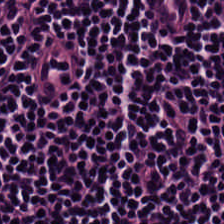H&E stain. The predominant tissue is lymphoid infiltrate.
